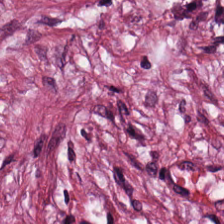H&E-stained tissue section showing tumor stroma.
